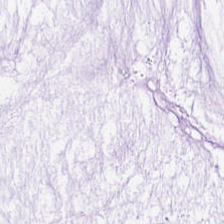H&E.
Mucin.
